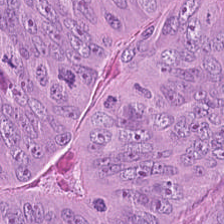H&E-stained tissue section.
Tissue class: colorectal adenocarcinoma.
